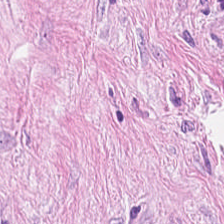224×224 pixel tile; hematoxylin and eosin — Q: What tissue is shown?
A: It is tumor-associated stroma.
